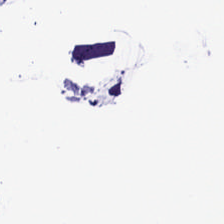Stain: hematoxylin-and-eosin stained section.
Classification: background.
